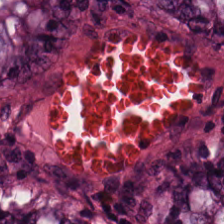H&E-stained tissue section — The predominant tissue is normal colon mucosa.
